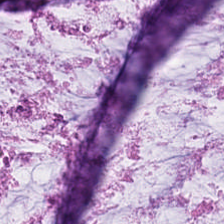H&E stain. Tissue class — extracellular mucin.
